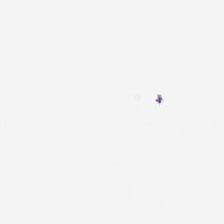This field is background (no tissue).
